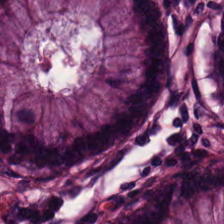H&E-stained section; the field shows benign colonic mucosa.
